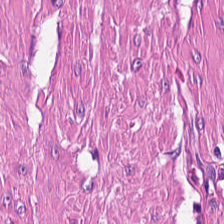Showing muscularis.
